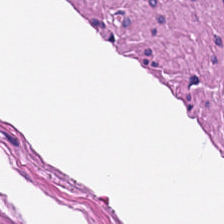Tissue type: smooth muscle.
